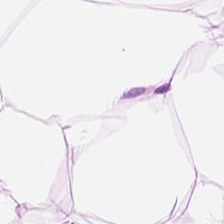Hematoxylin-and-eosin stained section. Histology → adipocytes.
